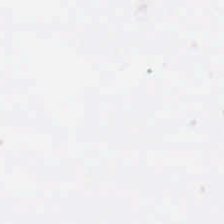H&E-stained tissue section — Q: Classify this patch.
A: This is background.
